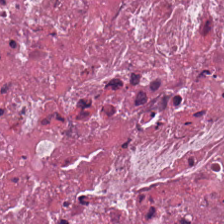Impression — necrotic debris.
